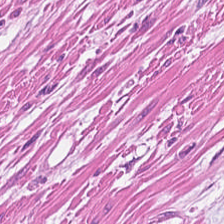224×224 pixel tile · H&E stain · whole-slide-image patch — This patch shows smooth-muscle tissue.
